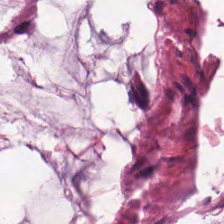20× equivalent magnification · whole-slide-image patch · H&E-stained tissue section — This field is extracellular mucin.
